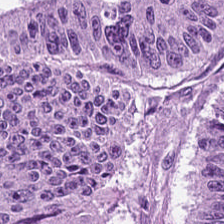Hematoxylin and eosin.
Impression → adenocarcinoma.
